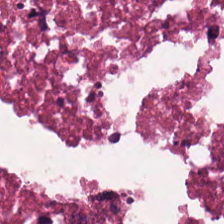H&E — cellular debris.
